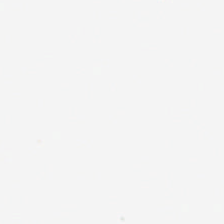Stain: H&E stain.
Tile size: 224×224 px tile.
Field content: background.
